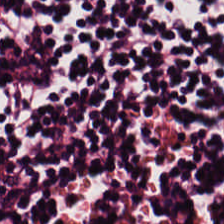Hematoxylin-and-eosin stained section — Impression → lymphocyte aggregate.
